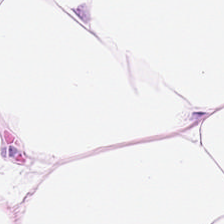Stain: H&E.
Tissue type: adipocytes.
